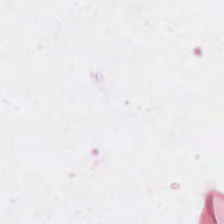H&E stain — Classification: no tissue.
